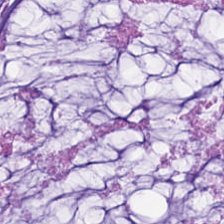224×224 px patch. H&E-stained tissue section. FFPE.
Histology — mucus.
